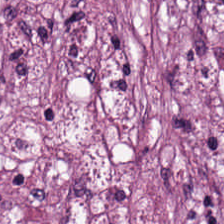Finding — desmoplastic stroma.
